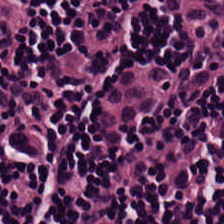Q: Classify this patch.
A: The field shows lymphocytic infiltrate.
